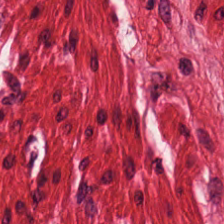Hematoxylin-and-eosin stained section. Showing smooth-muscle tissue.
